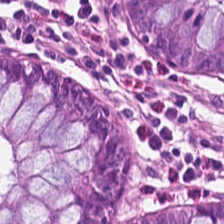Predominantly non-neoplastic colon mucosa.
